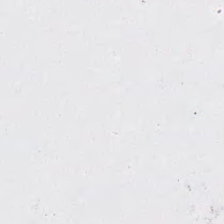Hematoxylin and eosin.
Background (no tissue).
